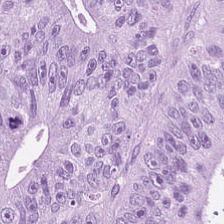H&E stain · brightfield microscopy. This field is colorectal adenocarcinoma.
